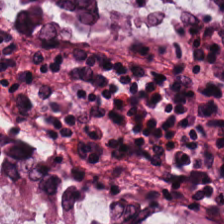Hematoxylin-and-eosin stained section — Tissue class: non-neoplastic colon mucosa.
